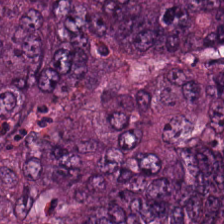Q: What is shown in this field?
A: Malignant epithelium.
